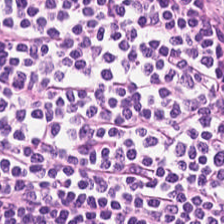Hematoxylin-and-eosin stained section; 224×224 px patch; 0.5 µm per pixel.
Showing lymphocytic infiltrate.
